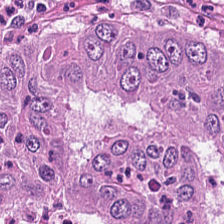224×224 pixel tile · H&E stain. The tissue is colorectal adenocarcinoma epithelium.
